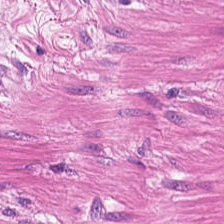H&E-stained tissue section.
The predominant tissue is smooth muscle.
